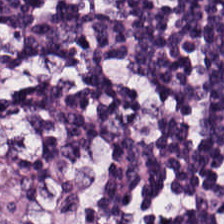Hematoxylin and eosin. {"tissue_type": "lymphocytic infiltrate"}
